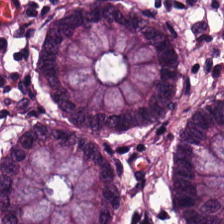H&E-stained tissue section.
The tissue here is normal colonic mucosa.
